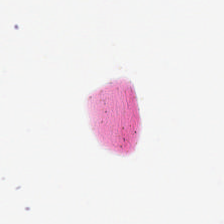Hematoxylin and eosin · FFPE · whole-slide-image patch — Classification: no tissue.
